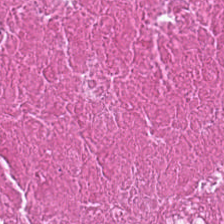Stain: H&E.
Classification: necrotic debris.
